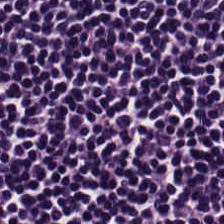FFPE tissue section; brightfield microscopy; H&E-stained tissue section.
Tissue type — lymphoid infiltrate.
